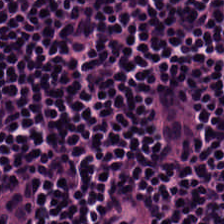Brightfield microscopy; H&E stain. Histology — lymphocytes.
